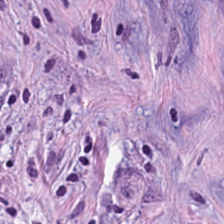{"tissue_type": "desmoplastic stroma"}
